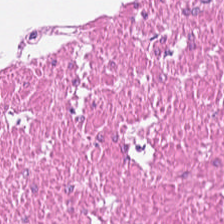Hematoxylin-and-eosin stained section.
The predominant tissue is muscularis.
